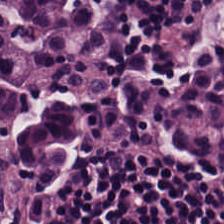0.5 µm per pixel · hematoxylin-and-eosin stained section — Classification: lymphocytes.
